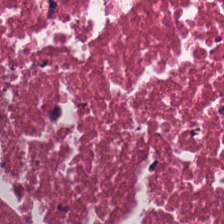Stain: H&E.
Tissue type: debris.
